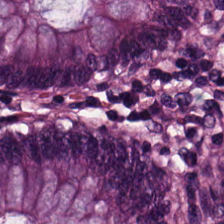Classification — normal colonic mucosa.
